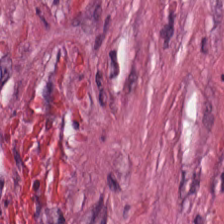H&E-stained tissue section.
Impression — desmoplastic stroma.
